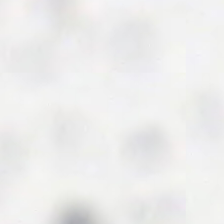224×224 px patch. H&E. This patch shows empty background.
